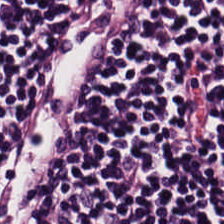Brightfield · H&E stain.
Impression → lymphocytes.
